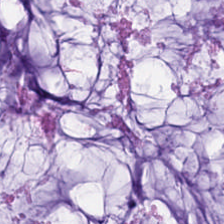Stain: H&E stain.
Tissue type: mucus.
